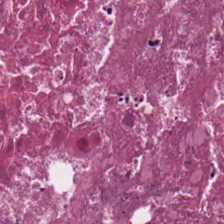Q: Identify the tissue.
A: Cellular debris.
